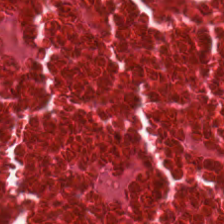Hematoxylin and eosin — Q: Classify this patch.
A: It is necrotic debris.
